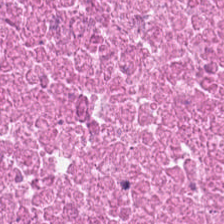Tissue type: cellular debris.
